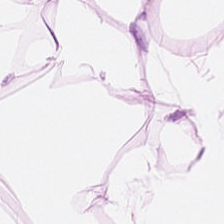Stain: hematoxylin and eosin.
Preparation: formalin-fixed paraffin-embedded section.
Acquisition: whole-slide-image patch.
Classification: adipose tissue.
